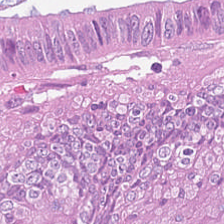Hematoxylin and eosin — Histology — adenocarcinoma.
